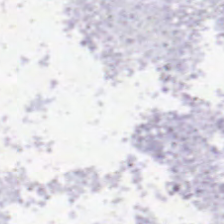0.5 microns per pixel · H&E-stained tissue section · 224×224 pixel tile. Classification = background.
